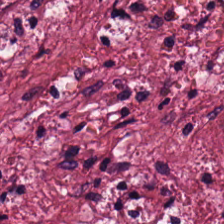0.5 µm/px; WSI patch; hematoxylin-and-eosin stained section — Classification = cancer-associated stroma.
